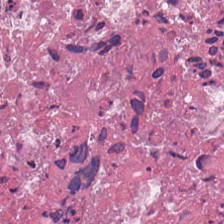Predominantly necrotic debris.
